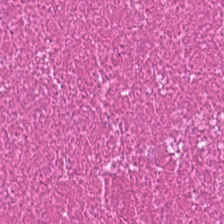H&E-stained tissue section.
Predominant tissue = cellular debris.
